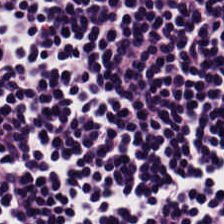Hematoxylin-and-eosin stained section.
Q: What type of tissue is this?
A: The field shows lymphocytic infiltrate.
